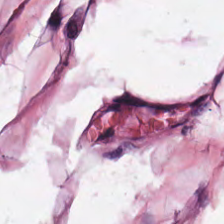H&E-stained tissue section. {"tissue_type": "adipose tissue"}
